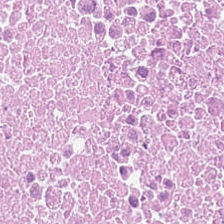20× equivalent magnification; H&E-stained tissue section; 224×224 px tile.
The tissue here is debris.
